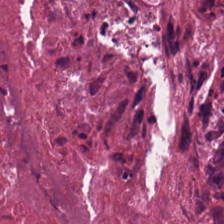Q: What tissue is shown?
A: It is necrotic debris.
